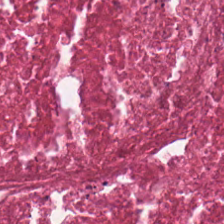H&E.
The tissue class is necrotic debris.
